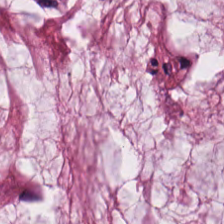Hematoxylin-and-eosin stained section. Q: Identify the tissue.
A: This is mucus.
